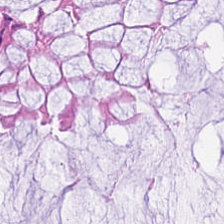Predominantly normal colon mucosa.
